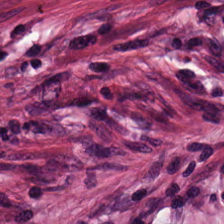224×224 pixel tile. H&E stain. This patch shows cancer-associated stroma.
